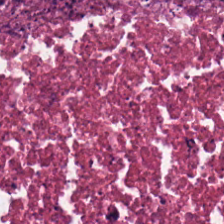Classification = cellular debris.
